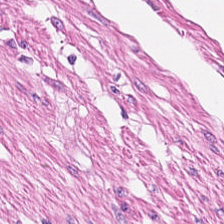Formalin-fixed paraffin-embedded section · H&E-stained tissue section — The tissue class is smooth-muscle tissue.
